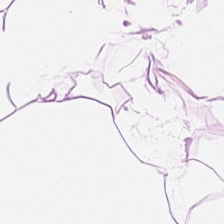Classification — adipose.
